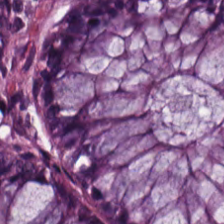Stain: H&E-stained tissue section.
Classification: benign colonic mucosa.
